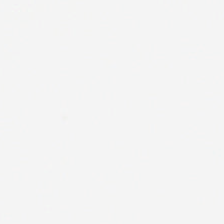H&E — The field content is background.
